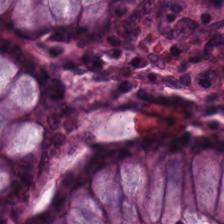H&E stain; 224×224 px patch — This field is normal colonic mucosa.
